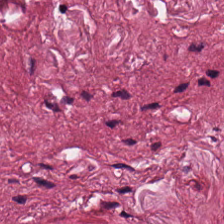Stain: H&E.
Preparation: formalin-fixed paraffin-embedded section.
Predominant tissue: tumor-associated stroma.
